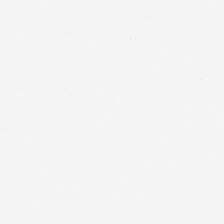The content is empty background.
